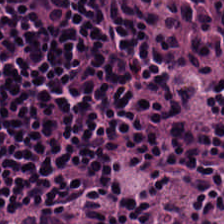The tissue type is lymphocytic infiltrate.
